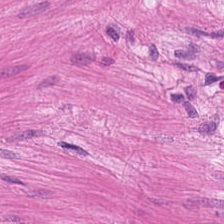Stain: H&E.
Tissue type: muscularis.
